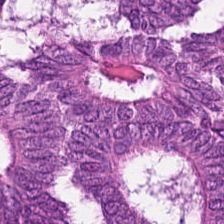Hematoxylin and eosin · brightfield microscopy. Q: Identify the tissue.
A: It is colorectal adenocarcinoma.
